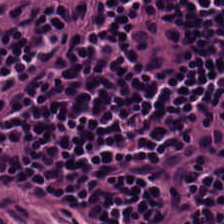H&E-stained tissue section — Showing lymphocytic infiltrate.
